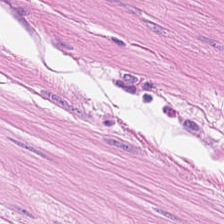H&E stain · FFPE · 0.5 µm per pixel. Showing smooth-muscle tissue.
